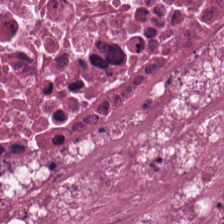Q: What is shown in this field?
A: The field shows necrotic debris.
